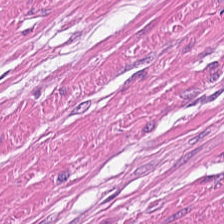Stain: H&E stain.
Predominant tissue: muscularis.
